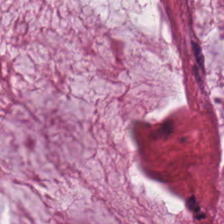Hematoxylin and eosin.
Predominantly extracellular mucin.
